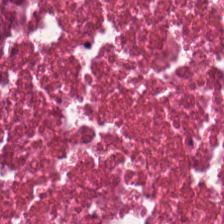Hematoxylin and eosin. 224×224 pixel tile — This field is debris.
